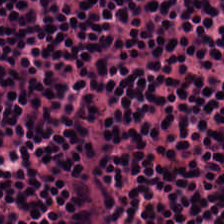H&E-stained tissue section.
The tissue here is lymphocytic infiltrate.
